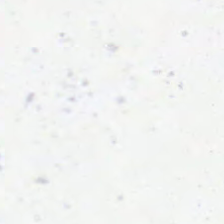H&E-stained tissue section — Content — no tissue.
